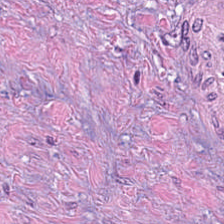Hematoxylin and eosin · formalin-fixed paraffin-embedded section — The tissue here is tumor stroma.
